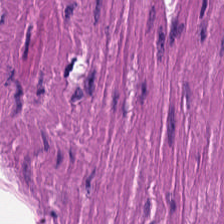0.5 µm per pixel; H&E. Q: Classify this patch.
A: Smooth muscle.
